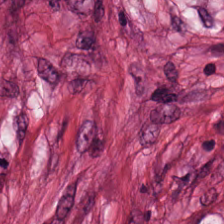Formalin-fixed paraffin-embedded section; H&E. Tissue class: cancer-associated stroma.
